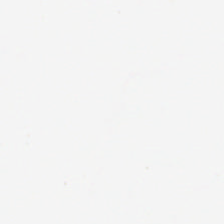Stain: H&E.
Content: background (no tissue).
